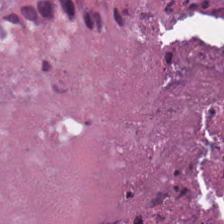Hematoxylin and eosin. This patch shows debris.
